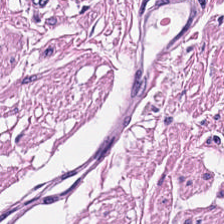Stain: hematoxylin and eosin.
Tissue class: smooth muscle.
